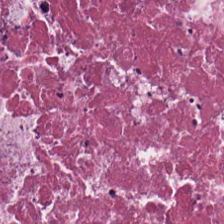The classification is debris.
